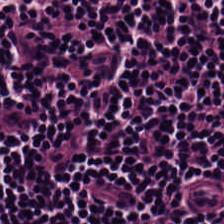H&E-stained tissue section. Showing lymphocytic infiltrate.
